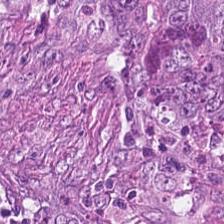Predominant tissue: colorectal adenocarcinoma.
